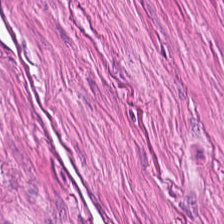Finding — muscularis.
